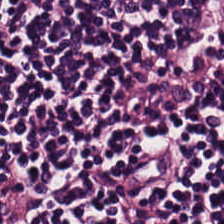H&E stain. 0.5 µm/px — {"tissue_type": "lymphocyte aggregate"}
